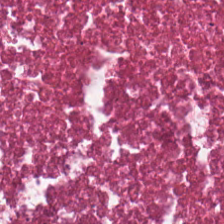H&E stain · 224×224 px patch · whole-slide-image patch — Q: What does this patch show?
A: Cellular debris.
